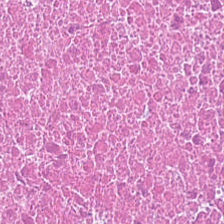Showing debris.
